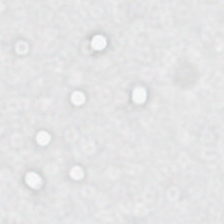Hematoxylin-and-eosin stained section. The classification is background (no tissue).
